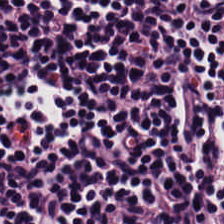H&E.
Histology → lymphocytic infiltrate.
